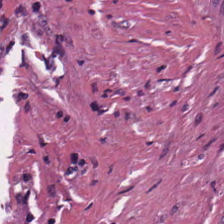{"tissue_type": "cellular debris"}
